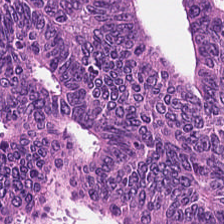224×224 pixel tile · hematoxylin-and-eosin stained section · 0.5 µm per pixel.
The tissue type is colorectal adenocarcinoma.
